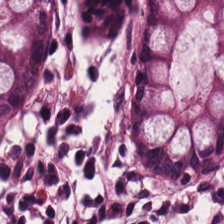Stain: hematoxylin-and-eosin stained section.
Tissue class: non-neoplastic colon mucosa.
